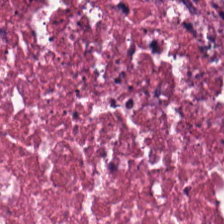Hematoxylin-and-eosin section: cellular debris.
